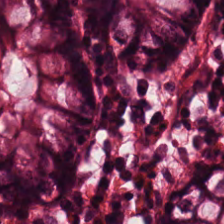This field is normal colon mucosa.
